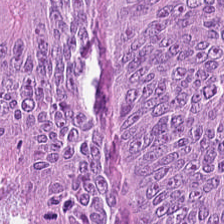Hematoxylin and eosin.
Q: What is the predominant tissue type?
A: It is tumor epithelium.
